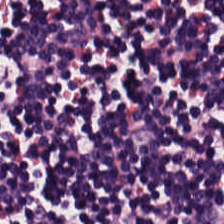Stain: H&E.
Classification: lymphocytes.
